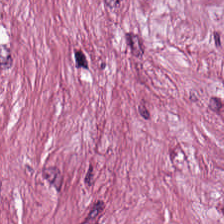Predominantly tumor-associated stroma.
